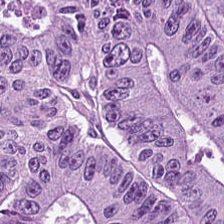Hematoxylin-and-eosin stained section — This field is tumor epithelium.
